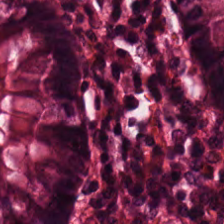H&E-stained tissue section showing non-neoplastic colon mucosa.
